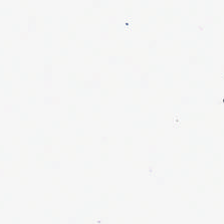H&E-stained tissue section. Q: Classify this patch.
A: This is background (no tissue).
